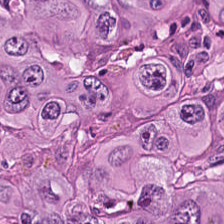Formalin-fixed paraffin-embedded section · hematoxylin and eosin — Colorectal adenocarcinoma epithelium.
